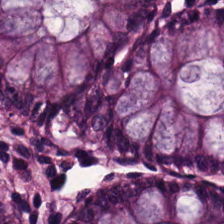H&E — Showing non-neoplastic colon mucosa.
